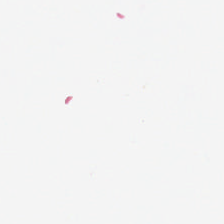Hematoxylin and eosin.
No tissue.
